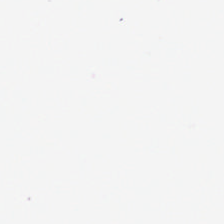H&E stain; FFPE tissue section. Classification = empty background.
